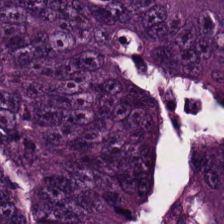The tissue type is colorectal adenocarcinoma.
